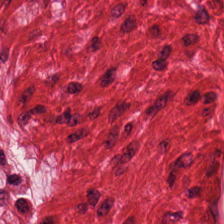Hematoxylin-and-eosin stained section.
Smooth-muscle tissue.
